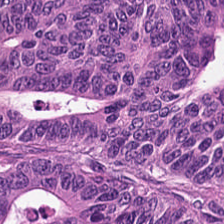H&E stain.
The predominant tissue is colorectal adenocarcinoma.
